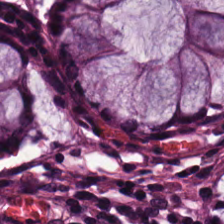H&E. Classification — benign colonic mucosa.
